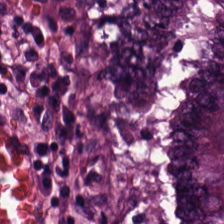H&E stain.
Impression — adenocarcinoma.
